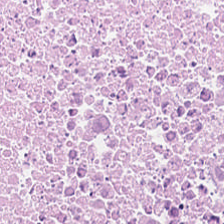Hematoxylin-and-eosin section: necrotic debris.
